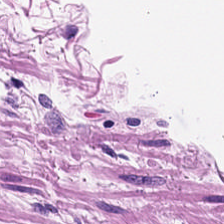0.5 microns per pixel. H&E — This patch shows smooth-muscle tissue.
